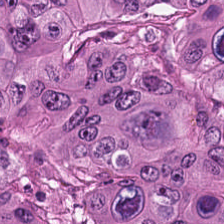Stain: H&E.
Tissue class: colorectal adenocarcinoma epithelium.
